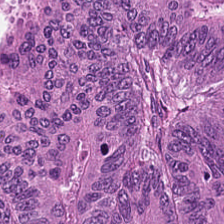Hematoxylin-and-eosin stained section — Predominant tissue = adenocarcinoma.
